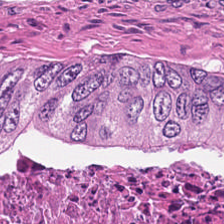Hematoxylin and eosin — Necrotic debris.
